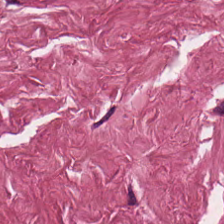Q: Classify this patch.
A: This is desmoplastic stroma.
